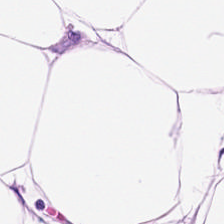224×224 pixel tile; hematoxylin and eosin. Tissue type — adipose.
